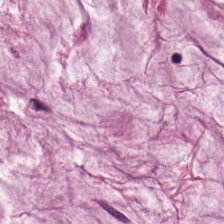Hematoxylin-and-eosin stained section.
Classification: mucus.
